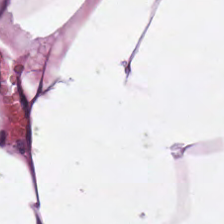H&E — adipose.
